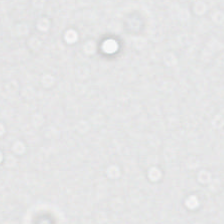Background — no tissue in this field.
